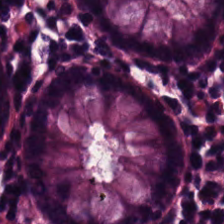H&E stain — Histology → normal colonic mucosa.
